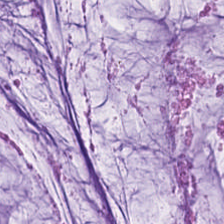Stain: H&E stain.
Tissue: extracellular mucin.
